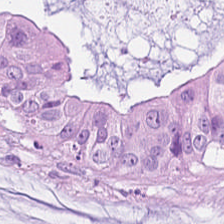WSI patch. 0.5 µm per pixel. Hematoxylin and eosin.
Q: Identify the tissue.
A: The field shows mucin.
